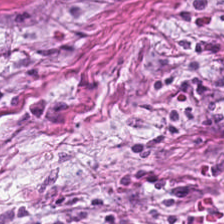H&E-stained tissue section · whole-slide-image patch.
Classification: cancer-associated stroma.
